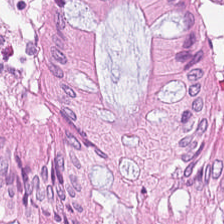Hematoxylin and eosin. Q: What is shown in this field?
A: This is normal colon mucosa.
